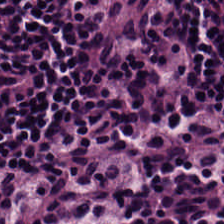H&E-stained tissue section. Q: What does this patch show?
A: The field shows lymphoid infiltrate.
